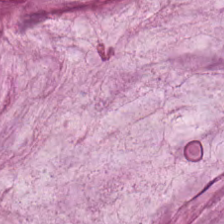H&E stain. Tissue class = mucin.
